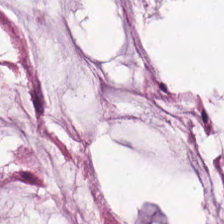H&E stain; formalin-fixed paraffin-embedded section; whole-slide-image patch. The classification is extracellular mucin.
